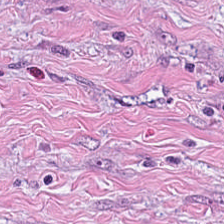H&E stain · brightfield.
The predominant tissue is tumor stroma.
